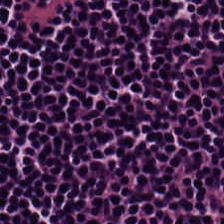Hematoxylin and eosin.
Finding — lymphocyte aggregate.
